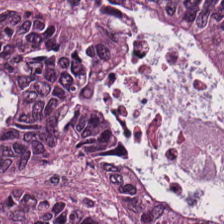Classification = adenocarcinoma.
